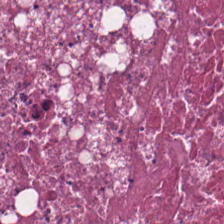Formalin-fixed paraffin-embedded section · H&E-stained tissue section · 224×224 px tile.
The tissue is cellular debris.
